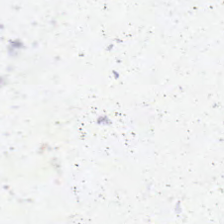Brightfield microscopy · H&E.
Classification — background.
